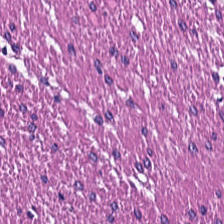H&E — Finding → smooth-muscle tissue.
